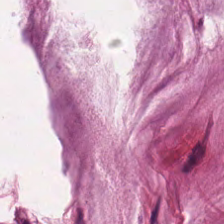H&E stain.
Predominant tissue: mucin.
